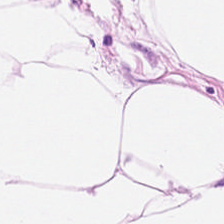Hematoxylin-and-eosin section: fat tissue.
